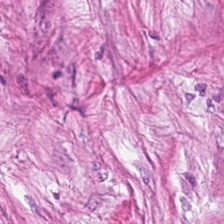H&E stain. Q: What does this patch show?
A: This is tumor stroma.
